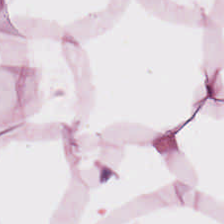Stain: hematoxylin and eosin.
Resolution: 20× equivalent magnification.
Predominant tissue: adipocytes.
